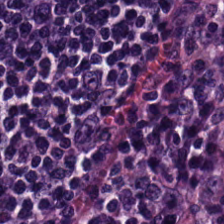Brightfield · hematoxylin and eosin · formalin-fixed paraffin-embedded section. Classification = lymphocytes.
